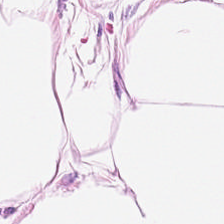H&E stain · 224×224 pixel tile — The predominant tissue is adipocytes.
